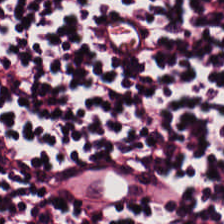0.5 µm/px. H&E stain. 224×224 pixel tile. Classification = lymphocytes.
